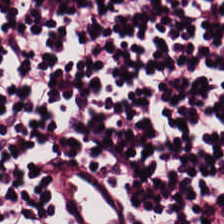Hematoxylin and eosin. Brightfield microscopy.
This patch shows lymphocyte aggregate.
